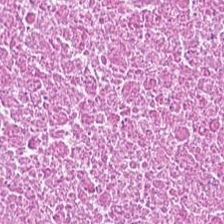H&E stain. Q: What is the predominant tissue type?
A: Necrotic debris.
